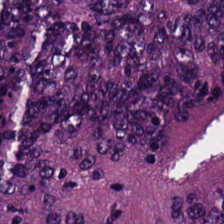Stain: hematoxylin and eosin.
Classification: colorectal adenocarcinoma.
